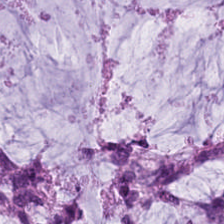H&E — The predominant tissue is mucus.
